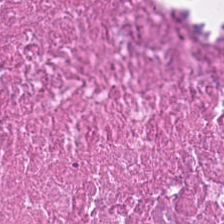20× equivalent magnification · H&E-stained tissue section — Impression → necrotic debris.
